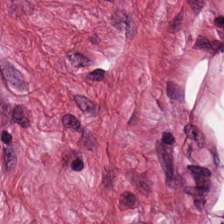Hematoxylin-and-eosin stained section.
The tissue here is tumor-associated stroma.
